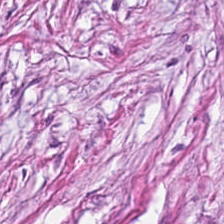FFPE; H&E-stained tissue section. The predominant tissue is cancer-associated stroma.
